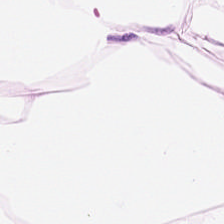0.5 microns per pixel. Hematoxylin-and-eosin stained section.
Tissue class = fat tissue.
